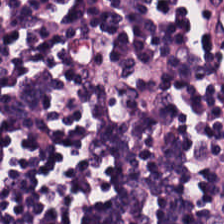Whole-slide-image patch; hematoxylin and eosin; formalin-fixed paraffin-embedded section. The tissue here is lymphoid infiltrate.
